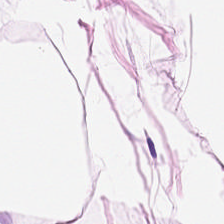0.5 µm/px · H&E · WSI patch. Tissue type: adipose tissue.
